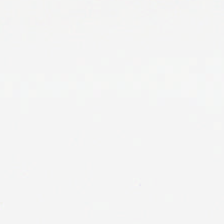Hematoxylin-and-eosin stained section. 224×224 px patch.
The classification is empty background.
